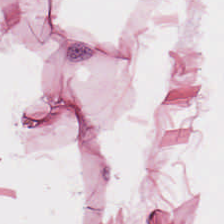H&E-stained tissue section. {"tissue_type": "fat tissue"}
